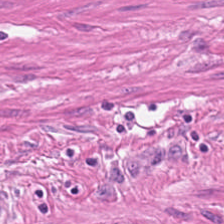H&E-stained tissue section — Q: What is shown here?
A: It is muscularis.
